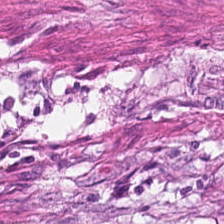H&E. 224×224 px tile — The classification is tumor-associated stroma.
